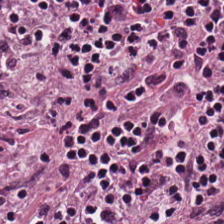H&E · FFPE.
The predominant tissue is lymphocytes.
